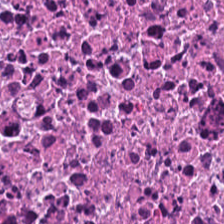Tissue type — necrotic debris.
